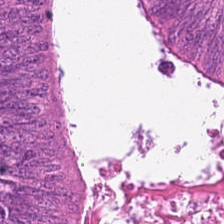224×224 px tile. Hematoxylin and eosin — Finding → malignant epithelium.
